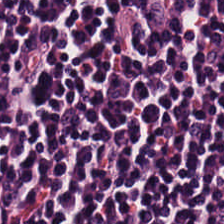Hematoxylin and eosin. This field is lymphoid infiltrate.
